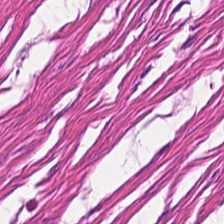Hematoxylin-and-eosin stained section — Finding — smooth muscle.
